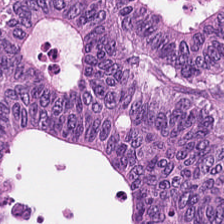FFPE; H&E.
This patch shows malignant epithelium.
